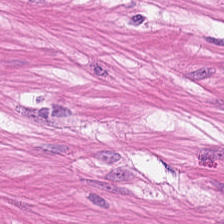This patch shows smooth-muscle tissue.
